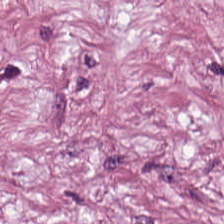H&E stain — Q: Classify this patch.
A: Cancer-associated stroma.
